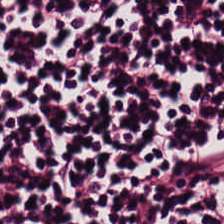H&E. 224×224 px tile. The tissue class is lymphocytic infiltrate.
